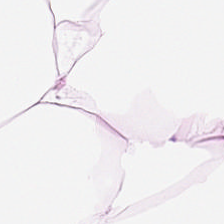H&E-stained tissue section; 0.5 µm/px; formalin-fixed paraffin-embedded section.
Histology — fat tissue.
